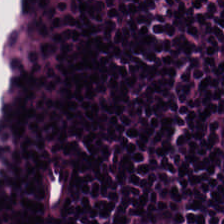Hematoxylin-and-eosin stained section. The tissue class is lymphocyte aggregate.
